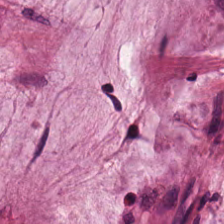H&E-stained tissue section — Predominantly mucus.
